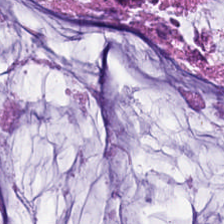Hematoxylin and eosin. WSI patch. 224×224 pixel tile — Q: What does this patch show?
A: Mucus.
